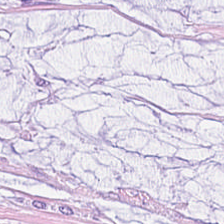Q: What is the predominant tissue type?
A: Extracellular mucin.
